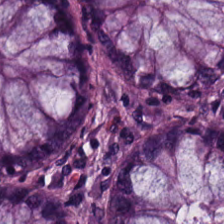H&E. Tissue = non-neoplastic colon mucosa.
